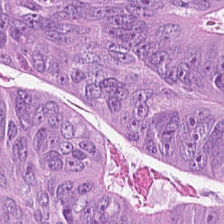Stain: hematoxylin-and-eosin stained section.
Tissue type: colorectal adenocarcinoma epithelium.
